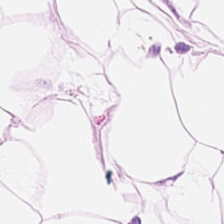H&E stain. This field is adipose tissue.
